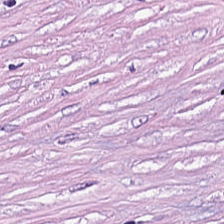H&E; formalin-fixed paraffin-embedded section. The tissue here is tumor-associated stroma.
